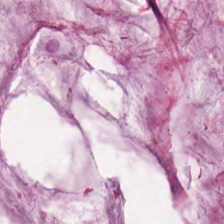H&E — extracellular mucin.
